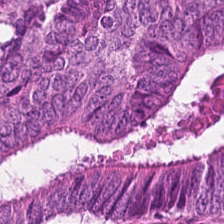224×224 pixel tile · H&E-stained tissue section — Tissue type = adenocarcinoma.
